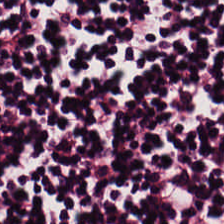Tissue type — lymphocyte aggregate.
